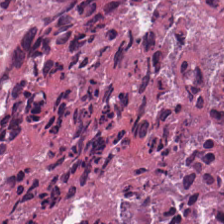Hematoxylin-and-eosin stained section; brightfield — The tissue here is debris.
